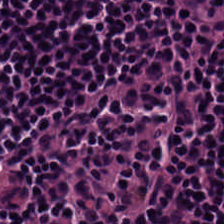H&E.
Finding → lymphocyte aggregate.
